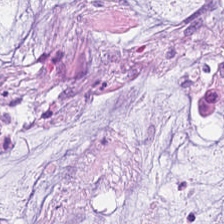H&E patch showing extracellular mucin.
